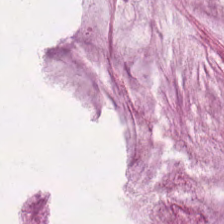Q: Identify the tissue.
A: Mucus.
